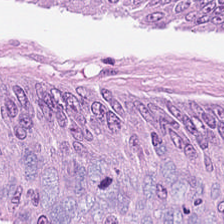H&E-stained tissue section showing colorectal adenocarcinoma.
